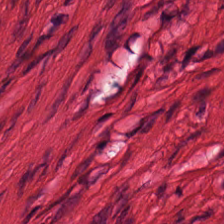H&E stain. FFPE tissue section. Whole-slide-image patch.
Histology → smooth muscle.
